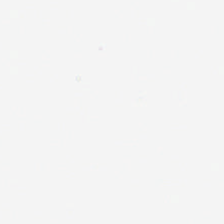Hematoxylin-and-eosin stained section — Classification: empty background.
